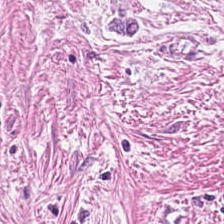Tissue type — tumor-associated stroma.
